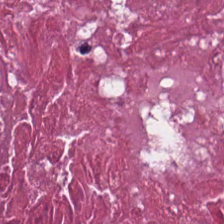224×224 px patch. H&E-stained tissue section. FFPE.
This patch shows cellular debris.
